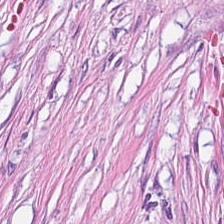H&E.
The predominant tissue is tumor-associated stroma.
